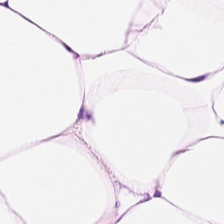20× equivalent magnification; H&E-stained tissue section; whole-slide-image patch.
The tissue is adipocytes.
